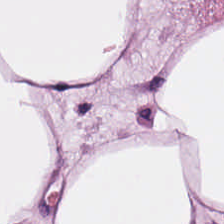H&E. Finding → adipose tissue.
